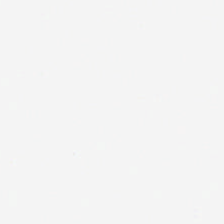Hematoxylin and eosin. Q: Classify this patch.
A: The field shows empty background.
